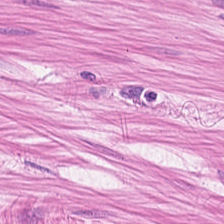Hematoxylin and eosin — Tissue — smooth-muscle tissue.
